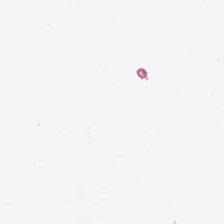H&E-stained tissue section. Finding — background.
